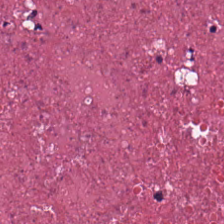Hematoxylin-and-eosin stained section — The predominant tissue is cellular debris.
